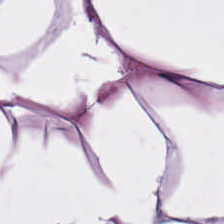H&E-stained tissue section — Adipocytes.
